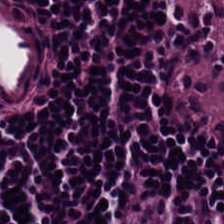H&E-stained tissue section. 224×224 px tile.
Predominantly lymphocytic infiltrate.
